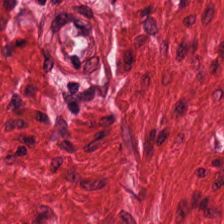H&E-stained tissue section — {"tissue_type": "muscularis"}
